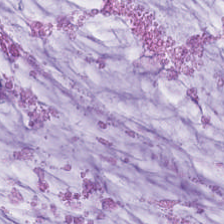FFPE tissue section; H&E-stained tissue section — Q: Identify the tissue.
A: It is extracellular mucin.
